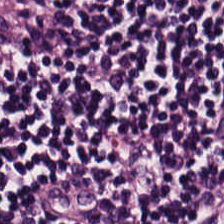Hematoxylin and eosin. Showing lymphocytic infiltrate.
